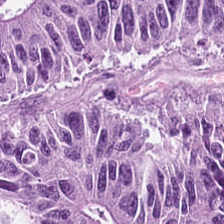Hematoxylin and eosin; FFPE tissue section. This field is adenocarcinoma.
